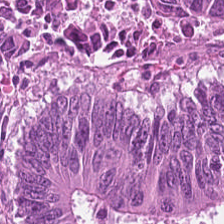224×224 px patch. H&E-stained tissue section.
Q: What type of tissue is this?
A: This is colorectal adenocarcinoma.
